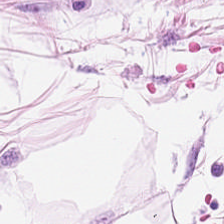H&E — Q: What is the predominant tissue type?
A: It is fat tissue.
